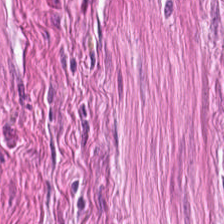224×224 pixel tile; H&E stain; WSI patch — Tissue — smooth-muscle tissue.
